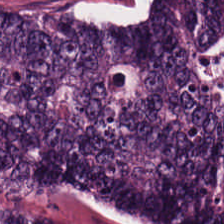H&E. FFPE. 224×224 px tile.
Tissue class — colorectal adenocarcinoma epithelium.
